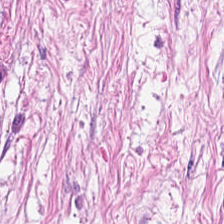H&E-stained tissue section · brightfield microscopy · 0.5 microns per pixel. Histology — cancer-associated stroma.
